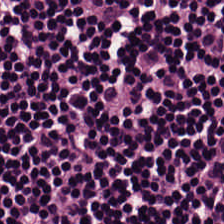Hematoxylin-and-eosin stained section.
Tissue type: lymphocytes.
